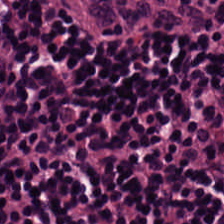Hematoxylin-and-eosin stained section. This patch shows lymphocyte aggregate.
